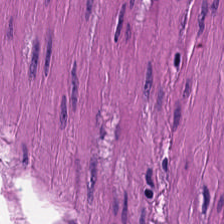The tissue type is smooth muscle.
